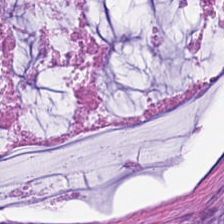Hematoxylin and eosin.
Q: What is shown here?
A: Extracellular mucin.
